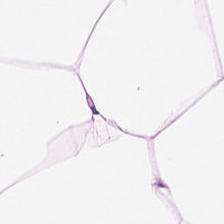H&E-stained tissue section. {"tissue_type": "adipose tissue"}
